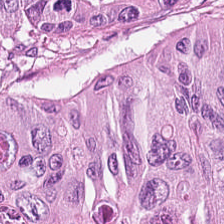Hematoxylin and eosin.
Predominantly colorectal adenocarcinoma epithelium.
